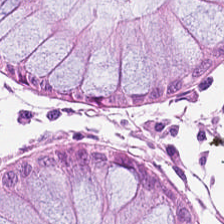Showing benign colonic mucosa.
